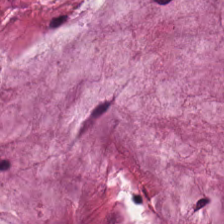Stain: H&E.
Predominant tissue: mucus.
